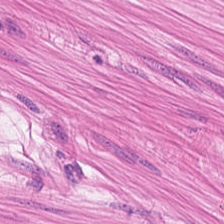H&E — {"tissue_type": "smooth muscle"}
